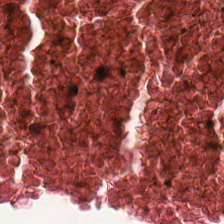H&E · brightfield — The predominant tissue is necrotic debris.
